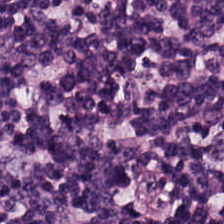224×224 px tile · H&E stain. Showing lymphocytes.
